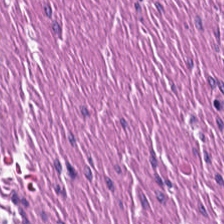H&E — Q: What tissue type is shown here?
A: It is smooth-muscle tissue.
